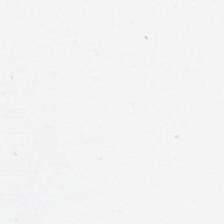H&E stain; 0.5 microns per pixel; 224×224 pixel tile.
Q: Classify this patch.
A: No tissue.
